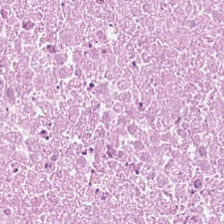H&E-stained tissue section.
The tissue here is cellular debris.
